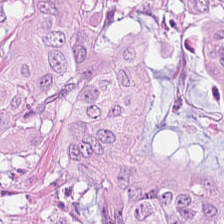20× equivalent magnification; hematoxylin and eosin. Predominant tissue = malignant epithelium.
